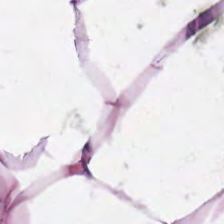H&E stain — Classification: adipose tissue.
